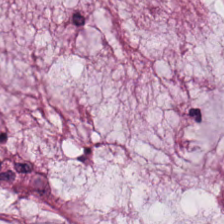H&E.
Tissue class: extracellular mucin.
